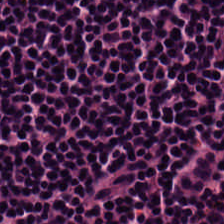WSI patch · hematoxylin-and-eosin stained section.
{"tissue_type": "lymphocytes"}
